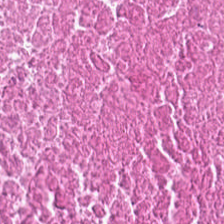0.5 microns per pixel; H&E stain; 224×224 pixel tile.
Q: What tissue is shown?
A: The field shows cellular debris.
